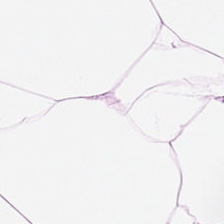0.5 µm per pixel; H&E-stained tissue section.
Q: What tissue type is shown here?
A: The field shows adipocytes.
